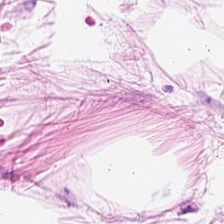H&E-stained tissue section. {"tissue_type": "adipose"}
